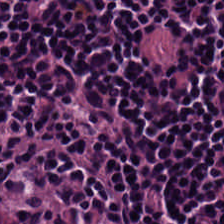Predominantly lymphoid infiltrate.
